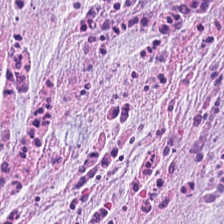H&E.
Tissue = cancer-associated stroma.
